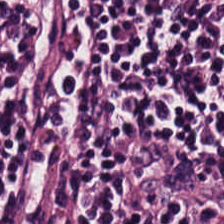Hematoxylin and eosin. {"tissue_type": "lymphoid infiltrate"}
